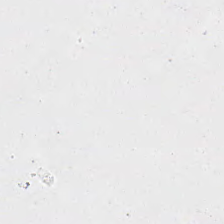H&E. 224×224 pixel tile. This field is background (no tissue).
